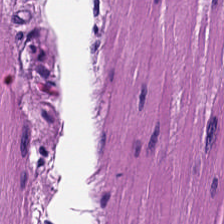H&E-stained tissue section. Showing smooth muscle.
